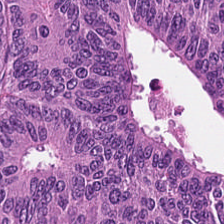Hematoxylin-and-eosin stained section · 0.5 µm/px. Colorectal adenocarcinoma.
